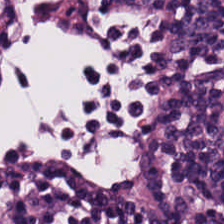Q: Classify this patch.
A: This is lymphoid infiltrate.
